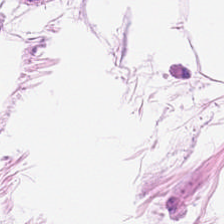H&E patch showing adipose tissue.
